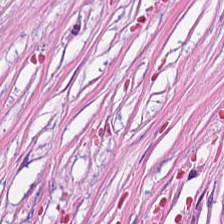Q: What tissue is shown?
A: This is tumor stroma.
